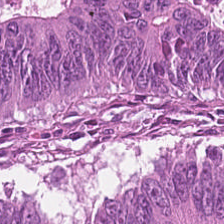H&E-stained tissue section.
This field is adenocarcinoma.
